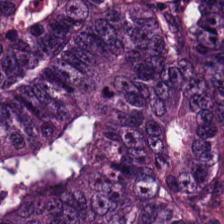Whole-slide-image patch. Hematoxylin-and-eosin stained section.
Finding — adenocarcinoma.
